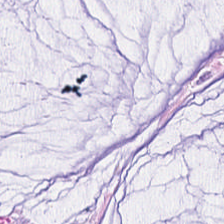Classification = mucus.
